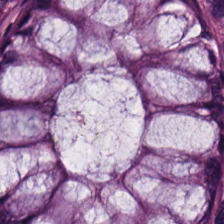The classification is normal colonic mucosa.
